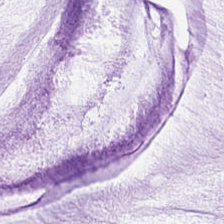Hematoxylin and eosin. Q: What is the predominant tissue type?
A: It is mucin.
